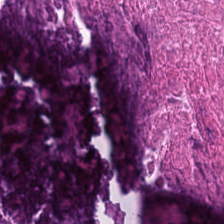Hematoxylin-and-eosin stained section. Tissue type — cellular debris.
